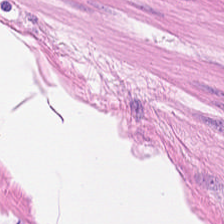FFPE tissue section; H&E. Tissue = smooth muscle.
